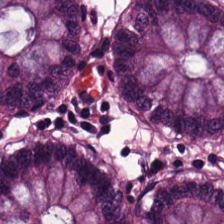H&E stain. The tissue here is normal colonic mucosa.
